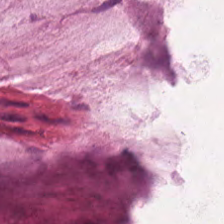H&E stain. The predominant tissue is mucus.
